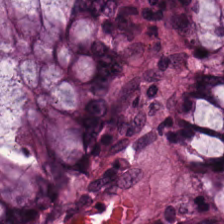Hematoxylin-and-eosin stained section. WSI patch. Benign colonic mucosa.
